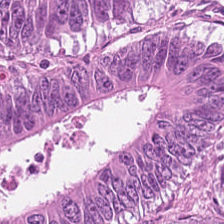Tissue type: colorectal adenocarcinoma epithelium.
